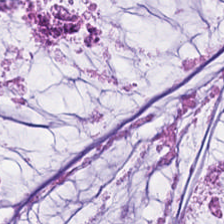Hematoxylin and eosin; FFPE tissue section; brightfield.
This patch shows extracellular mucin.
